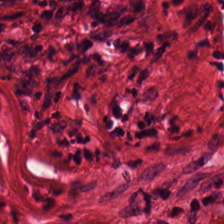Stain: H&E-stained tissue section.
Tissue type: desmoplastic stroma.
